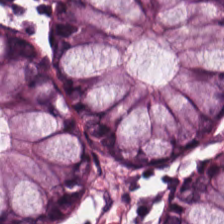Hematoxylin-and-eosin section: normal colonic mucosa.
